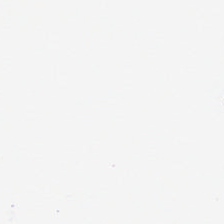H&E. 224×224 px patch.
Q: What does this patch show?
A: This is background (no tissue).
